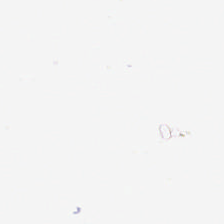0.5 µm/px; FFPE; H&E stain.
The content is empty background.
